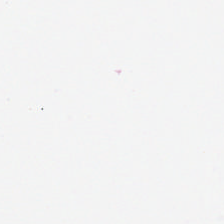Stain: hematoxylin and eosin.
Resolution: 20× equivalent magnification.
Preparation: FFPE tissue section.
Field content: background.
